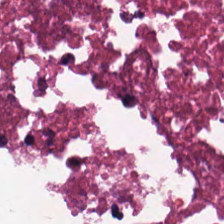0.5 µm per pixel; H&E-stained tissue section — {"tissue_type": "necrotic debris"}
